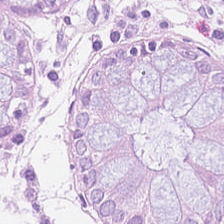Hematoxylin-and-eosin stained section. 224×224 px patch. Impression — normal colonic mucosa.
